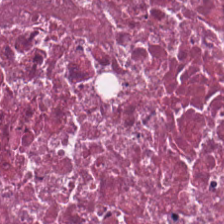Hematoxylin and eosin.
Q: Classify this patch.
A: The field shows cellular debris.
